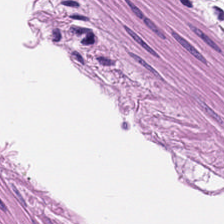Hematoxylin-and-eosin stained section · whole-slide-image patch · 0.5 microns per pixel — This field is smooth muscle.
